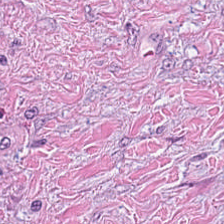Stain: H&E-stained tissue section.
Predominant tissue: desmoplastic stroma.
